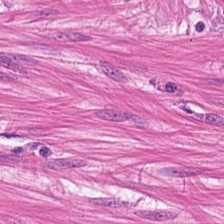Hematoxylin-and-eosin stained section · 224×224 pixel tile · FFPE — Finding — smooth muscle.
